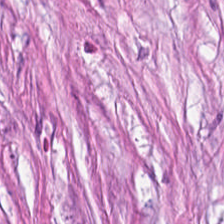Tissue class: tumor stroma.
